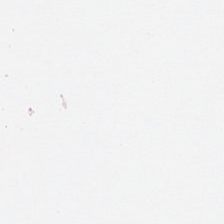No tissue present; background only.
